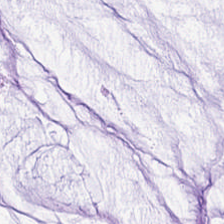H&E stain — Mucus.
